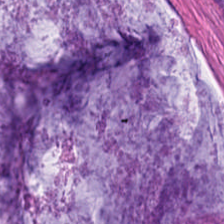WSI patch · H&E stain — The predominant tissue is extracellular mucin.
